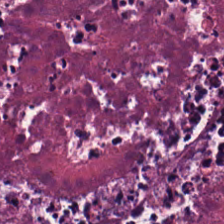H&E-stained tissue section; 224×224 pixel tile.
Debris.
